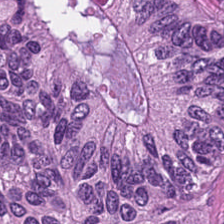Q: Classify this patch.
A: The field shows tumor epithelium.
